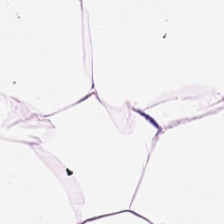H&E patch showing adipose tissue.
